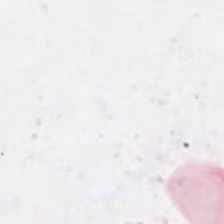Hematoxylin-and-eosin stained section. {"content": "empty background"}
